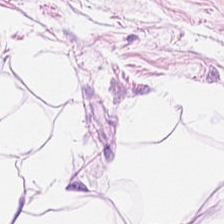FFPE; H&E-stained tissue section; 224×224 pixel tile. Showing adipocytes.
